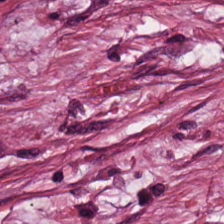The tissue class is desmoplastic stroma.
